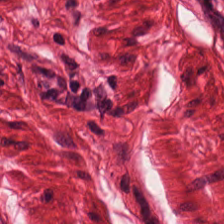Hematoxylin-and-eosin stained section.
This field is smooth-muscle tissue.
